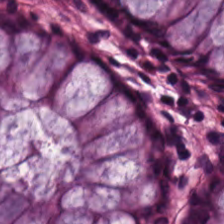224×224 px tile; whole-slide-image patch; H&E. Classification — benign colonic mucosa.
